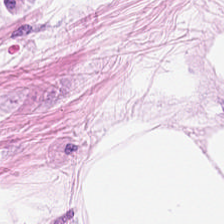Stain: H&E.
Tissue class: fat tissue.
